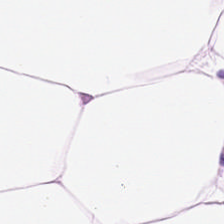H&E-stained tissue section. Classification = adipose tissue.
